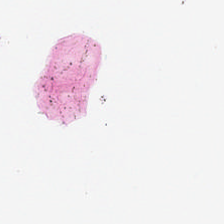H&E.
Classification — background (no tissue).
